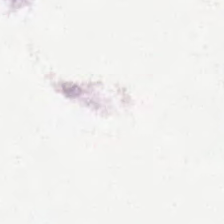Whole-slide-image patch. 0.5 µm/px. H&E — Empty background.
